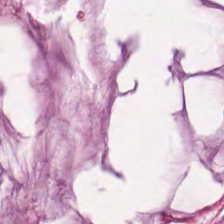0.5 µm/px; H&E; 224×224 px tile.
The tissue class is mucus.
